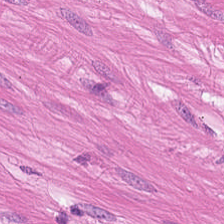224×224 pixel tile · H&E stain — Tissue = muscularis.
